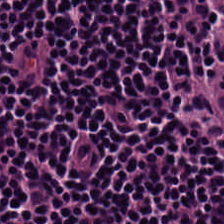Stain: hematoxylin and eosin.
Classification: lymphocytes.
